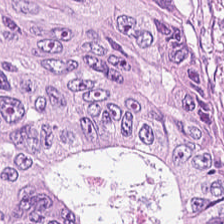H&E. Tissue class = colorectal adenocarcinoma epithelium.
